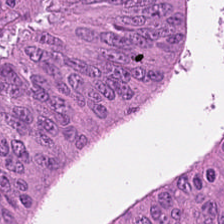FFPE tissue section; H&E stain.
This patch shows colorectal adenocarcinoma.
